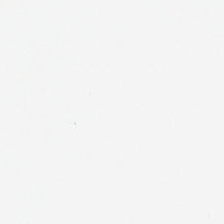H&E. This field is background (no tissue).
